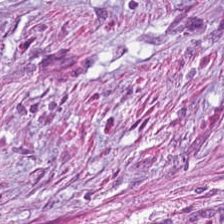H&E-stained tissue section · 0.5 microns per pixel · FFPE tissue section. Q: What tissue is shown?
A: Tumor stroma.
